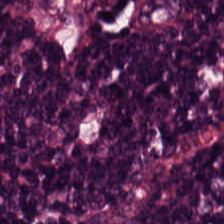224×224 pixel tile; H&E-stained tissue section. Q: What is the predominant tissue type?
A: It is lymphocytic infiltrate.
